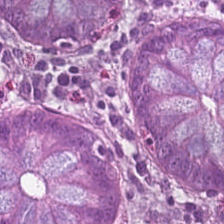Stain: H&E stain.
Tissue type: normal colon mucosa.
